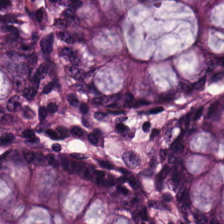Stain: H&E-stained tissue section.
Resolution: 20× equivalent magnification.
Classification: normal colonic mucosa.
